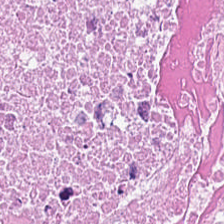224×224 px tile. Hematoxylin-and-eosin stained section.
Classification — cellular debris.
